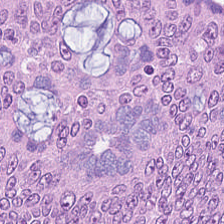Finding — colorectal adenocarcinoma.
